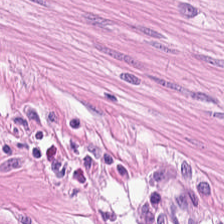Showing smooth-muscle tissue.
